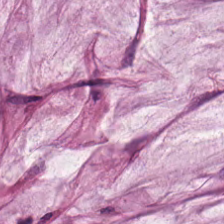Hematoxylin-and-eosin stained section; 0.5 microns per pixel.
Q: Classify this patch.
A: This is extracellular mucin.
